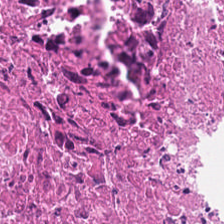H&E-stained tissue section.
Predominant tissue = necrotic debris.
